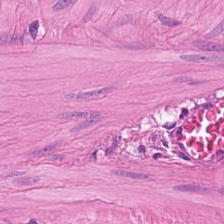WSI patch; H&E-stained tissue section. Classification: smooth-muscle tissue.
